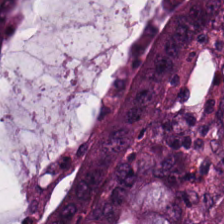224×224 pixel tile; formalin-fixed paraffin-embedded section; hematoxylin-and-eosin stained section — Predominant tissue = colorectal adenocarcinoma epithelium.
